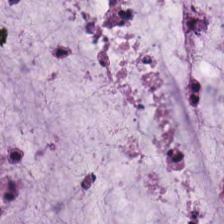WSI patch. H&E. 0.5 µm per pixel — {"tissue_type": "extracellular mucin"}
